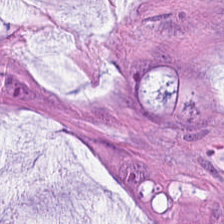Hematoxylin and eosin.
Predominant tissue: mucin.
